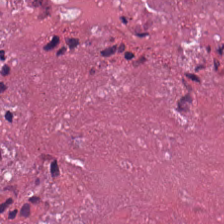H&E — Classification: necrotic debris.
